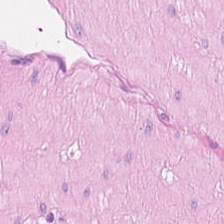Hematoxylin-and-eosin stained section. Impression — smooth-muscle tissue.
